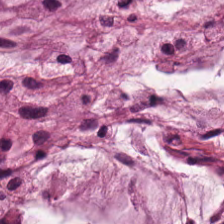20× equivalent magnification · hematoxylin-and-eosin stained section · FFPE — Impression — extracellular mucin.
